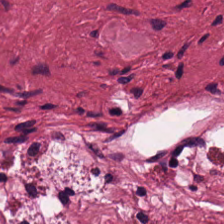224×224 pixel tile; hematoxylin and eosin; brightfield microscopy — Histology — tumor-associated stroma.
